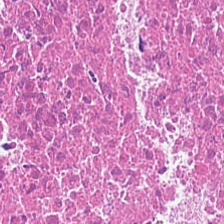Classification: necrotic debris.
